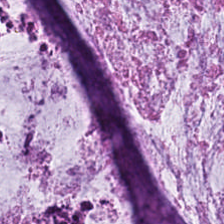Tissue class = mucin.
